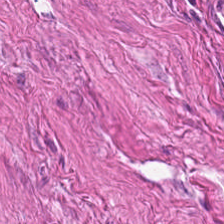Tissue class — muscularis.
